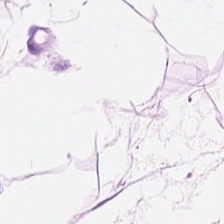Hematoxylin-and-eosin section: adipose.
